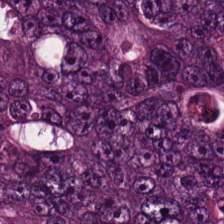0.5 µm/px. Hematoxylin-and-eosin stained section. Formalin-fixed paraffin-embedded section — Finding → colorectal adenocarcinoma.
